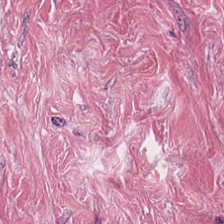The predominant tissue is tumor-associated stroma.
